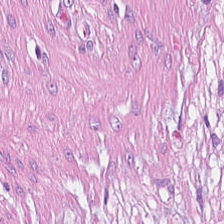Hematoxylin and eosin.
Showing cancer-associated stroma.
